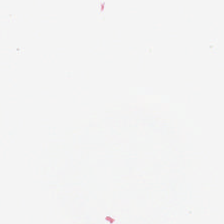Hematoxylin-and-eosin stained section. Formalin-fixed paraffin-embedded section. Classification: background.
